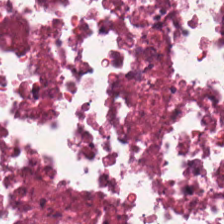Hematoxylin and eosin.
The tissue type is debris.
